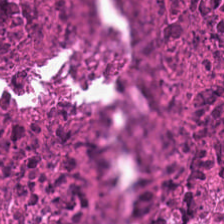Hematoxylin and eosin. The tissue type is debris.
